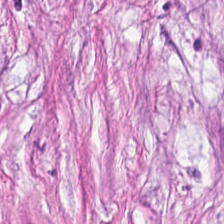H&E stain — The tissue here is cancer-associated stroma.
